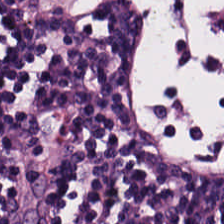Hematoxylin-and-eosin stained section · 224×224 pixel tile — The classification is lymphocytic infiltrate.
